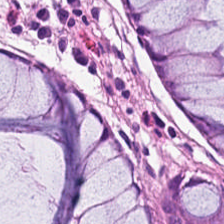Hematoxylin-and-eosin stained section · 224×224 px tile. Showing benign colonic mucosa.
